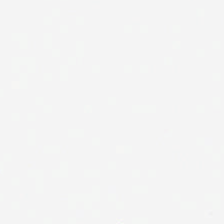Brightfield · H&E-stained tissue section · FFPE tissue section — This patch shows no tissue.
